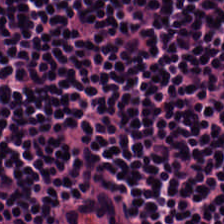Hematoxylin and eosin. Q: Identify the tissue.
A: It is lymphocytic infiltrate.
